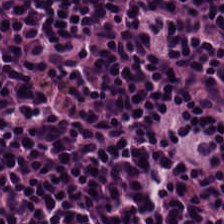Hematoxylin and eosin.
Tissue class — lymphocyte aggregate.
